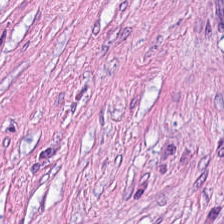H&E stain.
Histology → cancer-associated stroma.
